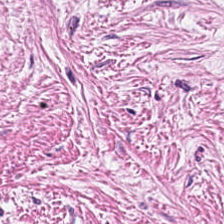Hematoxylin and eosin · whole-slide-image patch. Histology → cancer-associated stroma.
